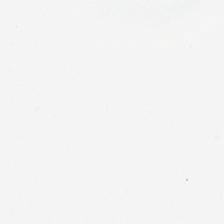WSI patch · H&E stain.
Q: What is shown here?
A: It is empty background.
